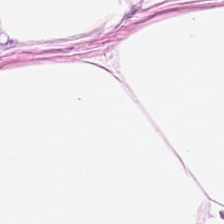Q: What is shown in this field?
A: Adipose.
